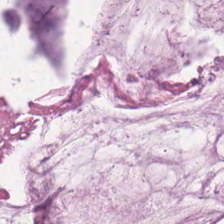H&E.
Q: Identify the tissue.
A: It is mucus.
